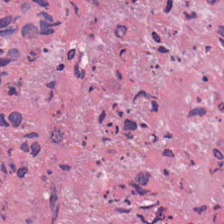H&E stain.
{"tissue_type": "cellular debris"}
